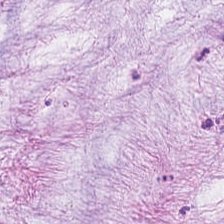H&E stain. Formalin-fixed paraffin-embedded section.
Q: Identify the tissue.
A: Mucin.
